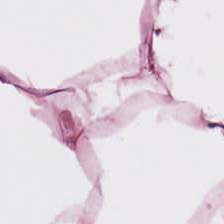Adipocytes.
